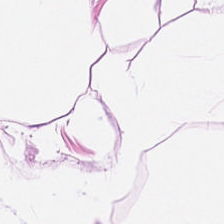Hematoxylin-and-eosin stained section. The tissue here is adipocytes.
